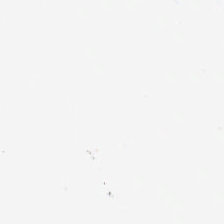H&E-stained tissue section — {"content": "background (no tissue)"}
